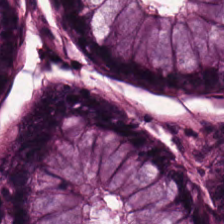H&E-stained tissue section · 0.5 µm/px. The predominant tissue is normal colon mucosa.
